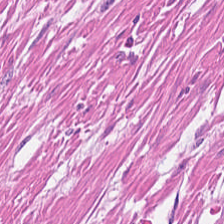H&E. Q: Classify this patch.
A: It is muscularis.
